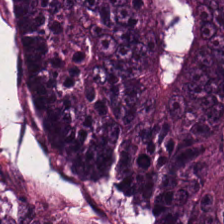H&E. Q: What tissue type is shown here?
A: It is tumor epithelium.
